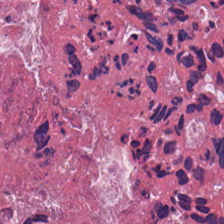Stain: H&E-stained tissue section.
Tissue: cellular debris.
